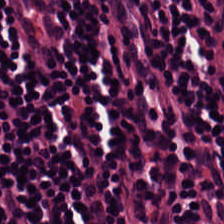Stain: H&E-stained tissue section.
Tissue: lymphocyte aggregate.
